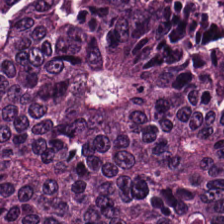Hematoxylin and eosin. Tissue type: malignant epithelium.
